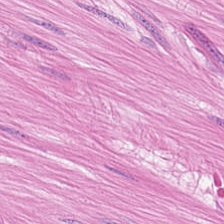H&E stain.
Tissue class — muscularis.
